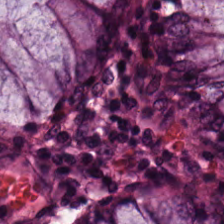{"tissue_type": "normal colon mucosa"}
